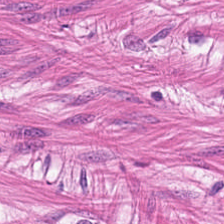H&E-stained section; the field shows smooth-muscle tissue.
